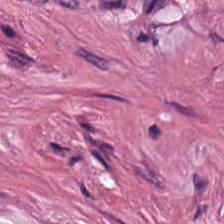H&E stain. 224×224 pixel tile — Finding → cancer-associated stroma.
